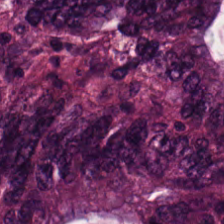Hematoxylin and eosin.
Showing adenocarcinoma.
